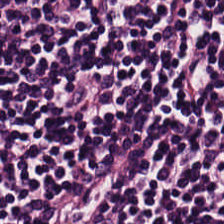H&E — {"tissue_type": "lymphocyte aggregate"}
